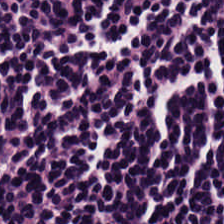H&E.
Q: What tissue is shown?
A: It is lymphoid infiltrate.
